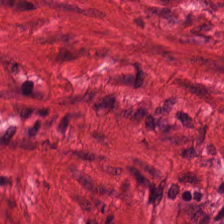Predominant tissue = smooth muscle.
